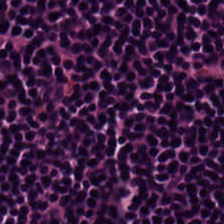Classification: lymphoid infiltrate.
